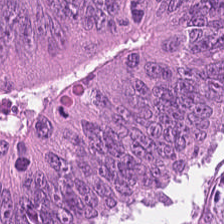Hematoxylin and eosin — Q: What is the predominant tissue type?
A: This is colorectal adenocarcinoma epithelium.
